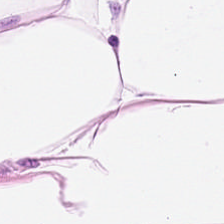Adipose.
